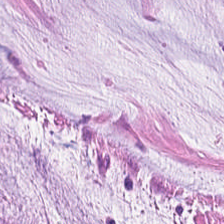H&E. FFPE tissue section.
Q: What is shown here?
A: It is mucin.
